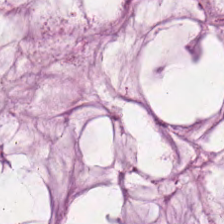H&E-stained section; the field shows mucin.
